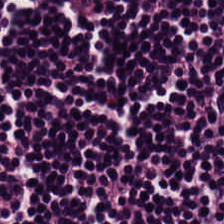H&E stain; FFPE. This patch shows lymphoid infiltrate.
